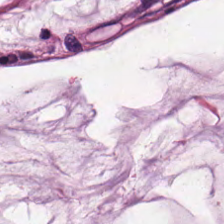H&E; whole-slide-image patch. Predominantly mucin.
